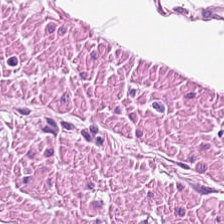Q: What is shown in this field?
A: This is smooth muscle.
